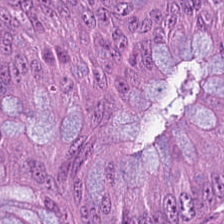Q: What does this patch show?
A: Adenocarcinoma.
